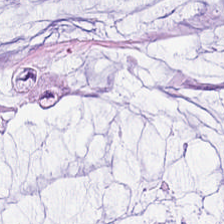Tissue: mucus.
